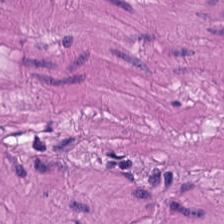Tissue: smooth muscle.
